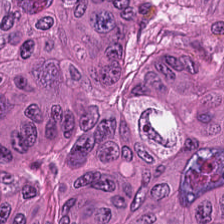H&E.
Classification = adenocarcinoma.
